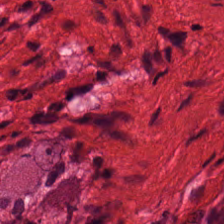Histology → smooth-muscle tissue.
